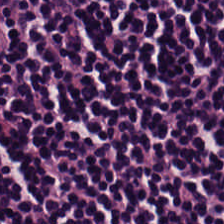FFPE tissue section; H&E stain — Classification = lymphocyte aggregate.
